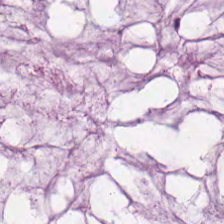Histology → mucin.
